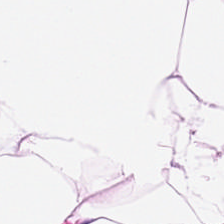Whole-slide-image patch; H&E stain. Q: What is shown here?
A: This is adipose tissue.
